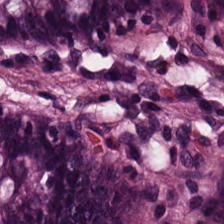Hematoxylin-and-eosin stained section — Tissue = normal colon mucosa.
